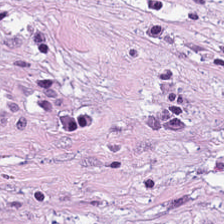0.5 microns per pixel · brightfield · hematoxylin and eosin — The predominant tissue is cancer-associated stroma.
